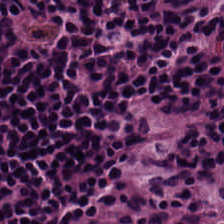Q: What is the predominant tissue type?
A: It is lymphocytes.
